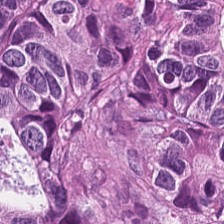Stain: hematoxylin-and-eosin stained section.
Tissue: adenocarcinoma.
